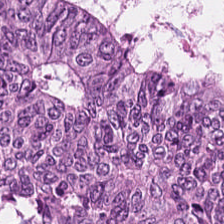Hematoxylin and eosin.
This field is tumor epithelium.
